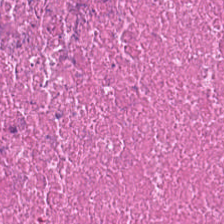H&E-stained tissue section. Histology → cellular debris.
